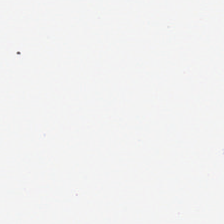Hematoxylin and eosin. No tissue present; background only.
